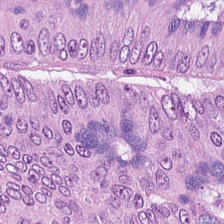Hematoxylin and eosin — Finding — tumor epithelium.
